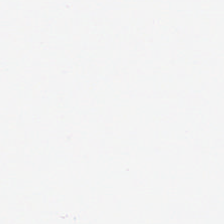Hematoxylin-and-eosin stained section — Q: What is shown here?
A: Empty background.
